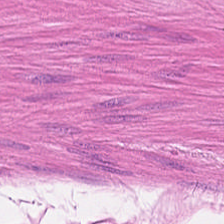Stain: hematoxylin and eosin.
Preparation: FFPE.
Tissue type: smooth-muscle tissue.
